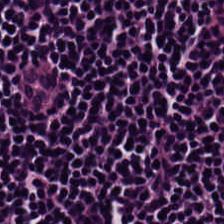H&E.
This patch shows lymphocytes.
